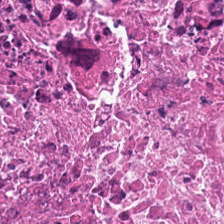Q: What is shown here?
A: This is necrotic debris.
